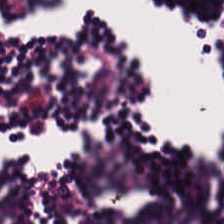Stain: H&E stain.
Preparation: FFPE tissue section.
Tissue: lymphocyte aggregate.
